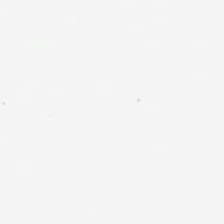H&E stain. Field content: background.
